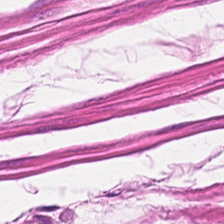224×224 pixel tile · H&E stain.
Q: Classify this patch.
A: The field shows muscularis.
